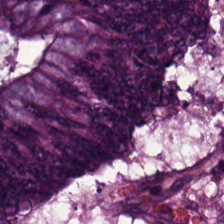WSI patch · H&E — Showing colorectal adenocarcinoma.
